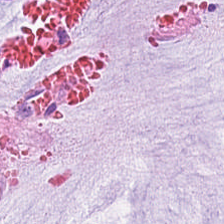FFPE · 224×224 px patch · hematoxylin-and-eosin stained section. This patch shows mucin.
